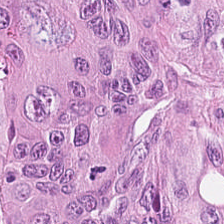H&E stain. Whole-slide-image patch.
Q: Classify this patch.
A: Colorectal adenocarcinoma epithelium.
